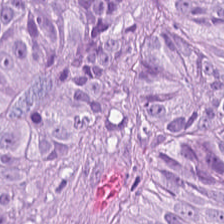H&E-stained tissue section; whole-slide-image patch — Tissue: malignant epithelium.
